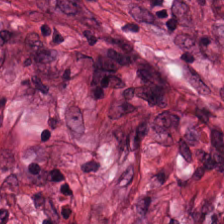H&E-stained tissue section; 20× equivalent magnification. The tissue is tumor stroma.
